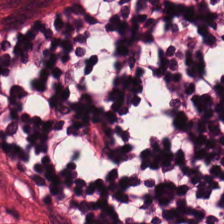Hematoxylin and eosin — Q: What tissue type is shown here?
A: This is lymphocytic infiltrate.
